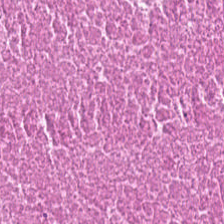H&E stain · 20× equivalent magnification. The tissue here is necrotic debris.
